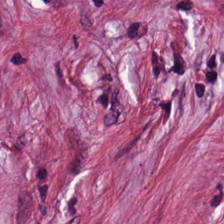Hematoxylin-and-eosin stained section · FFPE · 0.5 µm/px. Q: What is shown here?
A: Cancer-associated stroma.
